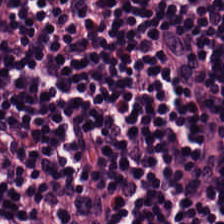Stain: H&E.
Tissue: lymphocytes.
